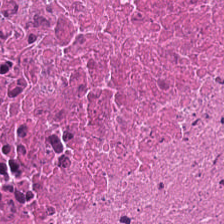Finding → necrotic debris.
